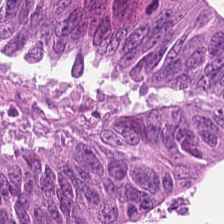H&E. 224×224 px tile — Histology — tumor epithelium.
